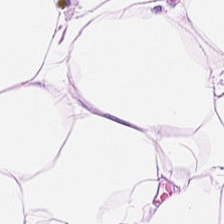Stain: H&E stain.
Resolution: 20× equivalent magnification.
Predominant tissue: adipocytes.
